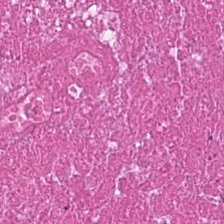Impression — necrotic debris.
